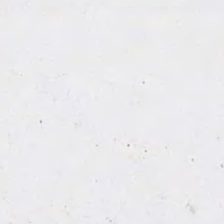Q: What is shown here?
A: It is background.
